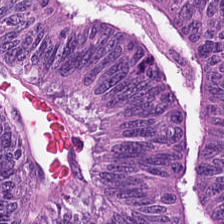H&E stain. Predominant tissue: tumor epithelium.
